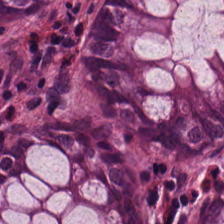Finding → normal colon mucosa.
